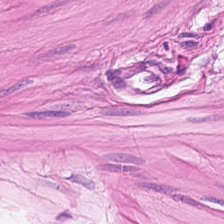Formalin-fixed paraffin-embedded section. 0.5 µm/px. H&E — The tissue here is smooth muscle.
